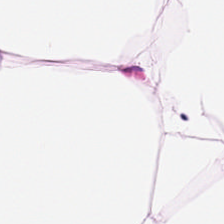Hematoxylin-and-eosin stained section · brightfield — {"tissue_type": "adipose tissue"}
